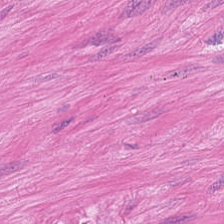H&E — Tissue class = muscularis.
